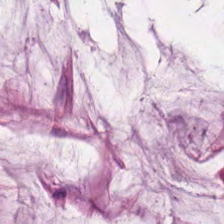Classification — mucus.
